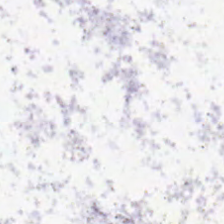Stain: hematoxylin and eosin.
Classification: background.
